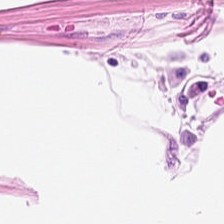Stain: H&E stain.
Classification: adipocytes.
